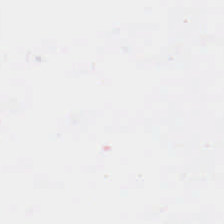Hematoxylin and eosin. Q: What is shown here?
A: This is background (no tissue).
